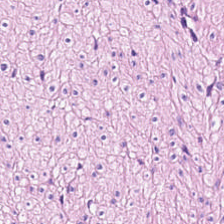H&E stain — Impression → muscularis.
